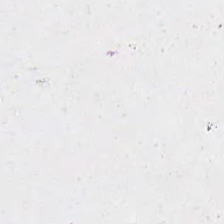H&E — Empty field — background.
